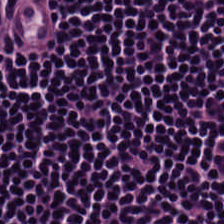Q: What is shown here?
A: This is lymphocytic infiltrate.
